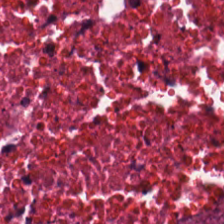224×224 pixel tile · FFPE · hematoxylin and eosin. Q: Identify the tissue.
A: It is debris.
